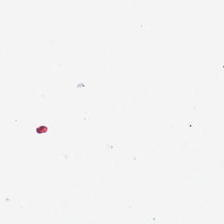WSI patch; H&E stain.
Histology — background (no tissue).
